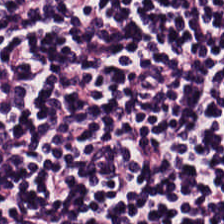H&E — The predominant tissue is lymphocytes.
